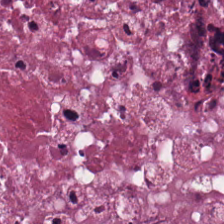Hematoxylin-and-eosin stained section — Showing cellular debris.
